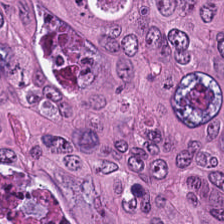Tumor epithelium.
